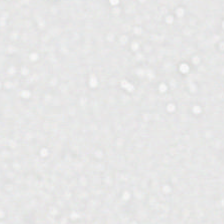H&E stain — Background (no tissue).
